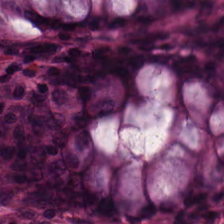Hematoxylin and eosin — Tissue: normal colon mucosa.
